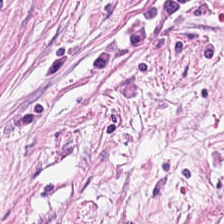H&E · 0.5 microns per pixel. Histology — tumor-associated stroma.
